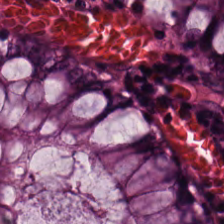H&E · formalin-fixed paraffin-embedded section — The predominant tissue is normal colon mucosa.
